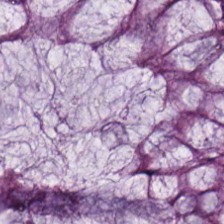The tissue is non-neoplastic colon mucosa.
